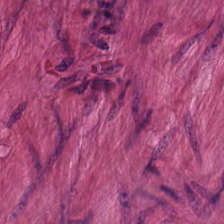Hematoxylin and eosin.
Smooth-muscle tissue.
